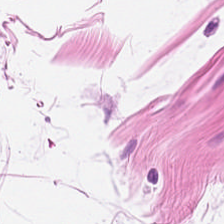Tissue = adipocytes.
